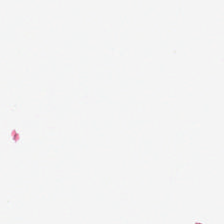Hematoxylin-and-eosin stained section.
Q: What is shown in this field?
A: The field shows empty background.
